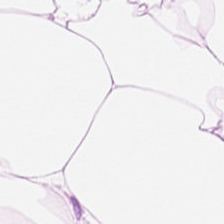H&E-stained tissue section. Tissue type: adipocytes.
